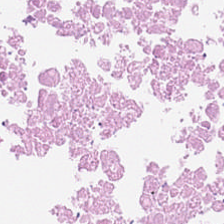224×224 px tile; H&E stain; 0.5 µm per pixel. The classification is debris.
